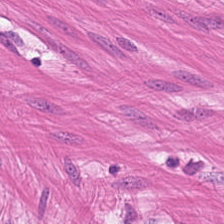Hematoxylin-and-eosin stained section.
Finding → muscularis.
